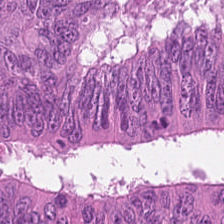Stain: H&E.
Preparation: FFPE tissue section.
Tissue type: colorectal adenocarcinoma epithelium.
